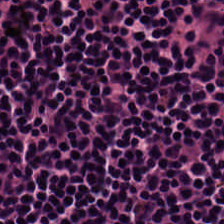Predominant tissue = lymphoid infiltrate.
